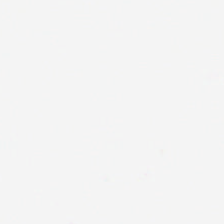Stain: H&E stain.
Tile size: 224×224 px patch.
Classification: no tissue.
